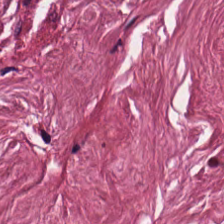Brightfield; hematoxylin-and-eosin stained section. The tissue here is tumor stroma.
